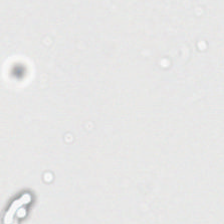224×224 px tile · 0.5 microns per pixel · H&E stain.
Q: What is shown in this field?
A: It is no tissue.
